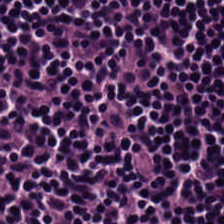Stain: H&E stain.
Classification: lymphoid infiltrate.
